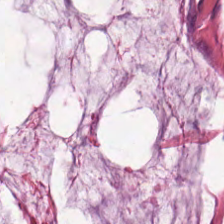Whole-slide-image patch · H&E — Finding → mucus.
